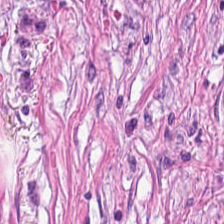Stain: H&E-stained tissue section.
Resolution: 20× equivalent magnification.
Acquisition: brightfield microscopy.
Tissue: desmoplastic stroma.
